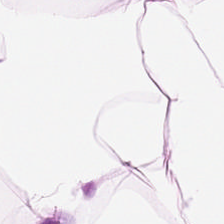WSI patch. H&E stain — Showing fat tissue.
